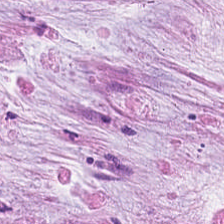H&E · 224×224 px tile. Q: What does this patch show?
A: Mucus.
